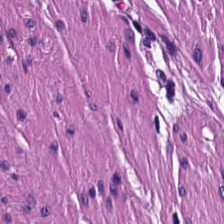Stain: hematoxylin-and-eosin stained section.
Tissue class: smooth-muscle tissue.
